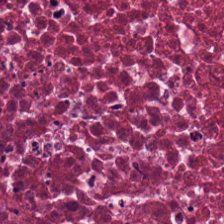Tissue class — cellular debris.
